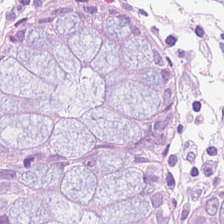224×224 pixel tile; 0.5 microns per pixel; hematoxylin and eosin — Histology → benign colonic mucosa.
